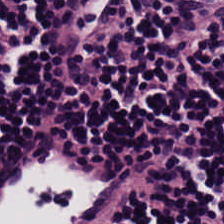Formalin-fixed paraffin-embedded section · H&E stain.
Tissue: lymphocyte aggregate.
